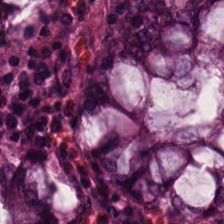Brightfield microscopy. Hematoxylin and eosin — The predominant tissue is benign colonic mucosa.
